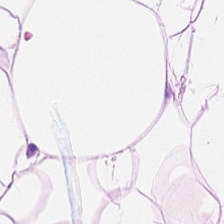Tissue type — adipocytes.
